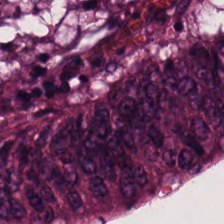Hematoxylin and eosin.
Finding — malignant epithelium.
